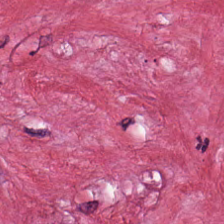H&E — Tissue class = cancer-associated stroma.
